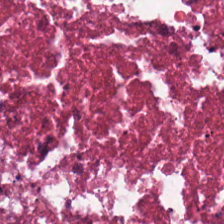Whole-slide-image patch; H&E. Predominant tissue: debris.
